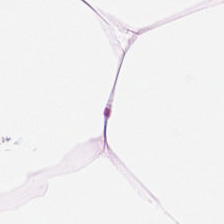Hematoxylin-and-eosin stained section.
Q: What is shown in this field?
A: It is adipose tissue.
